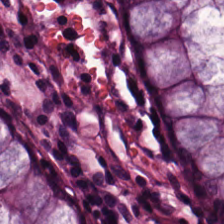224×224 px patch · H&E · 0.5 µm per pixel — {"tissue_type": "normal colonic mucosa"}
